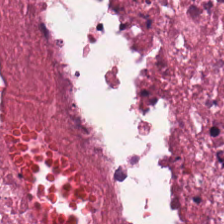H&E — Predominant tissue — necrotic debris.
